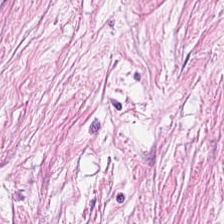H&E stain. Histology — tumor-associated stroma.
